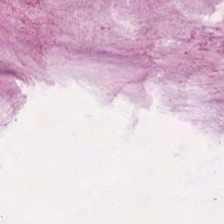Q: What tissue is shown?
A: It is extracellular mucin.
